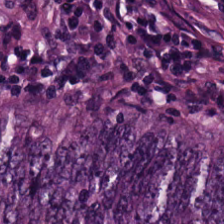H&E. This field is malignant epithelium.
